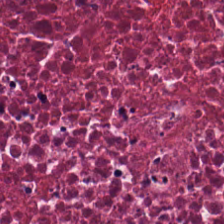Hematoxylin-and-eosin stained section · WSI patch · formalin-fixed paraffin-embedded section.
Q: What is shown in this field?
A: Debris.
